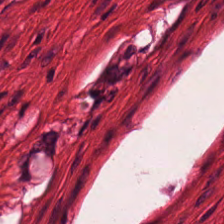Brightfield · H&E-stained tissue section. Tissue — muscularis.
